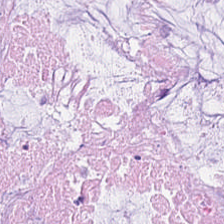Stain: hematoxylin-and-eosin stained section.
Tissue type: mucus.
